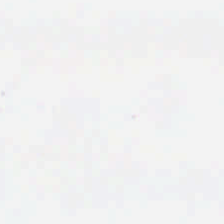H&E stain. Content — empty background.
